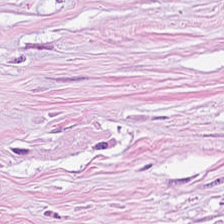H&E stain. Predominantly tumor-associated stroma.
